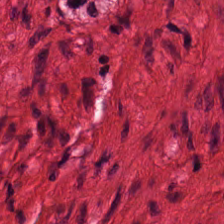Hematoxylin-and-eosin section: smooth-muscle tissue.
